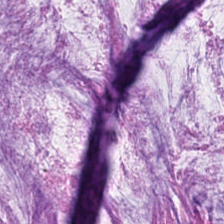H&E stain; 224×224 px tile.
Tissue type: extracellular mucin.
